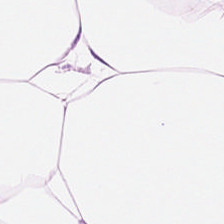H&E-stained tissue section. Predominantly fat tissue.
